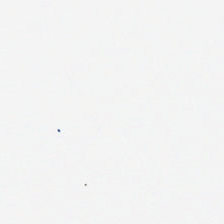FFPE tissue section; H&E-stained tissue section. The content is empty background.
